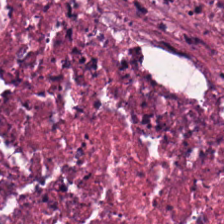H&E · 0.5 microns per pixel — This field is necrotic debris.
